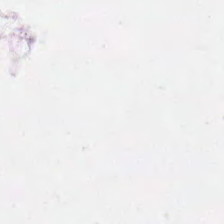H&E; 20× equivalent magnification; 224×224 px tile.
Background — no tissue in this field.
